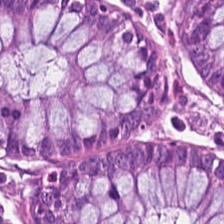H&E. Q: What type of tissue is this?
A: Benign colonic mucosa.
